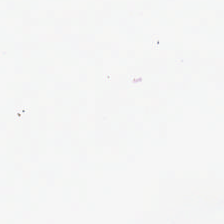Stain: H&E-stained tissue section.
Content: empty background.
